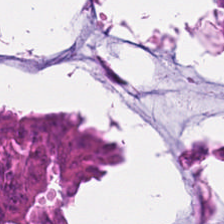H&E stain; 224×224 px patch — This field is colorectal adenocarcinoma epithelium.
